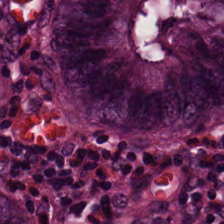Hematoxylin-and-eosin stained section · 224×224 pixel tile · 20× equivalent magnification.
Tissue class — benign colonic mucosa.
